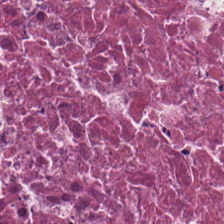Hematoxylin-and-eosin stained section — The tissue here is cellular debris.
